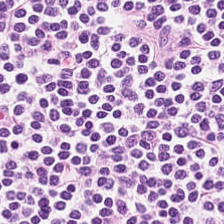H&E stain — Showing lymphocyte aggregate.
